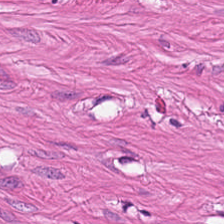Whole-slide-image patch. H&E stain. 224×224 px tile — {"tissue_type": "smooth-muscle tissue"}
